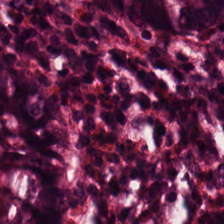Hematoxylin and eosin; WSI patch — The predominant tissue is normal colon mucosa.
